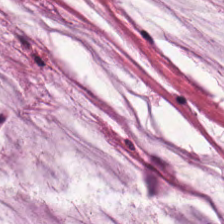Hematoxylin-and-eosin section: mucus.
